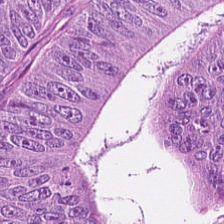H&E; 0.5 µm/px — Malignant epithelium.
